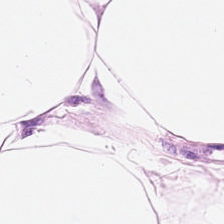H&E.
Tissue type = fat tissue.
